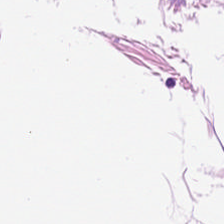Q: What tissue is shown?
A: The field shows adipose.
